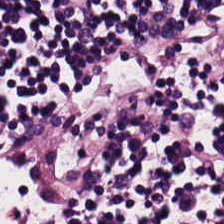H&E — This patch shows lymphocytes.
